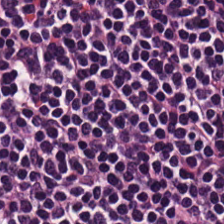Hematoxylin-and-eosin stained section. Predominantly lymphocytes.
